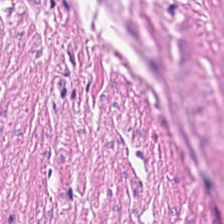H&E. Q: What tissue type is shown here?
A: It is smooth-muscle tissue.
